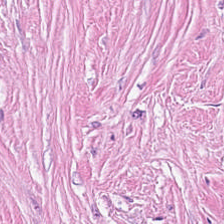Hematoxylin-and-eosin stained section; 20× equivalent magnification. The predominant tissue is cancer-associated stroma.
